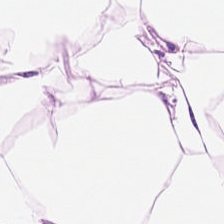H&E-stained tissue section. 224×224 px tile. FFPE tissue section.
The classification is adipose tissue.
